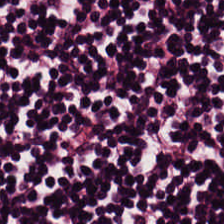H&E; formalin-fixed paraffin-embedded section; 0.5 µm/px.
Predominantly lymphocytes.
